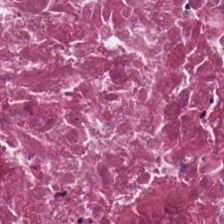0.5 µm per pixel · H&E-stained tissue section · FFPE.
Q: Classify this patch.
A: The field shows necrotic debris.
